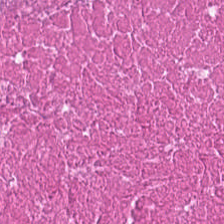Hematoxylin and eosin. Tissue type: necrotic debris.
